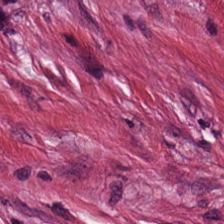The tissue here is tumor-associated stroma.
